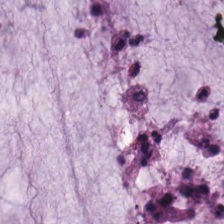Stain: H&E.
Classification: mucin.
